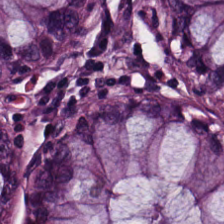Hematoxylin-and-eosin stained section.
Tissue — normal colon mucosa.
